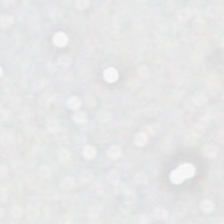H&E — No tissue present; background only.
